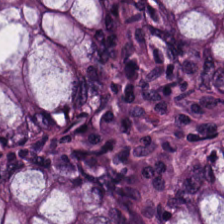Hematoxylin-and-eosin stained section.
The tissue here is normal colon mucosa.
